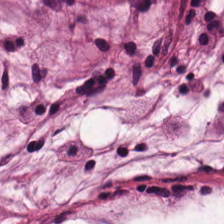H&E stain. The predominant tissue is mucin.
